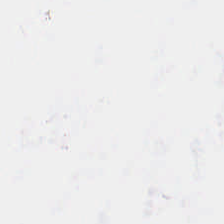Hematoxylin and eosin.
Classification — background (no tissue).
